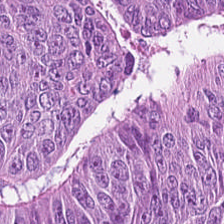Stain: H&E.
Classification: colorectal adenocarcinoma epithelium.
